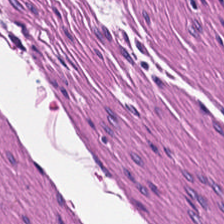Stain: H&E stain.
Tissue type: smooth muscle.
